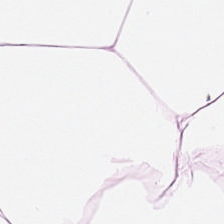224×224 px tile · H&E stain · brightfield. Q: What is the predominant tissue type?
A: Adipocytes.
